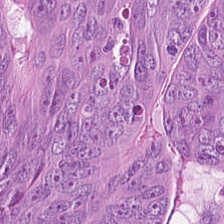Whole-slide-image patch; H&E — This patch shows malignant epithelium.
